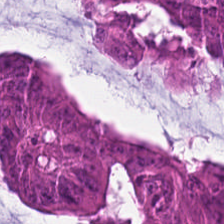The predominant tissue is adenocarcinoma.
